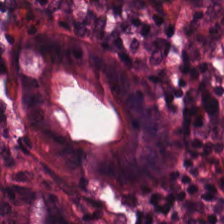The predominant tissue is non-neoplastic colon mucosa.
